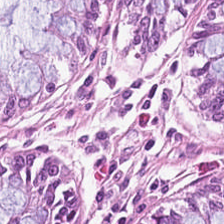0.5 microns per pixel · hematoxylin-and-eosin stained section — {"tissue_type": "normal colon mucosa"}
